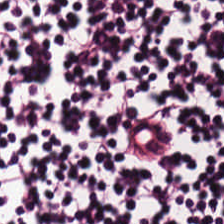H&E-stained tissue section showing lymphoid infiltrate.
